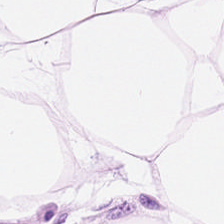Hematoxylin-and-eosin stained section. Q: Classify this patch.
A: The field shows fat tissue.
